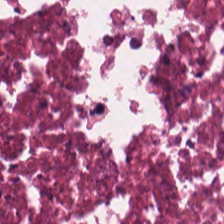{"tissue_type": "debris"}
